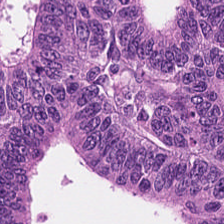H&E-stained tissue section — Predominantly adenocarcinoma.
